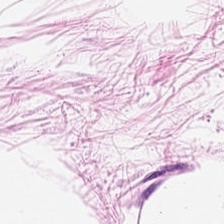Stain: hematoxylin and eosin.
Tissue: adipocytes.
